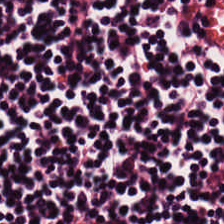0.5 µm/px. Brightfield microscopy. Hematoxylin-and-eosin stained section. The tissue is lymphocytes.
